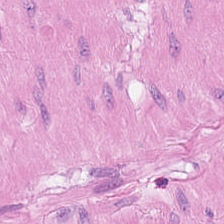Tissue = muscularis.
